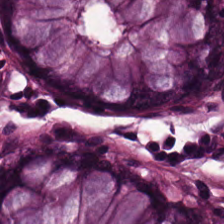This field is benign colonic mucosa.
